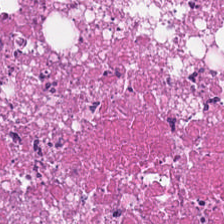Finding — cellular debris.
